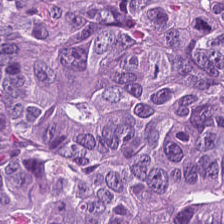0.5 µm/px. Hematoxylin and eosin — This patch shows malignant epithelium.
